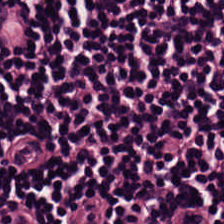Stain: H&E.
Tissue type: lymphoid infiltrate.
